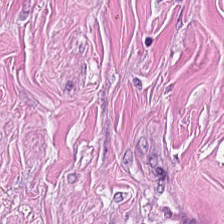Hematoxylin and eosin.
Predominant tissue = tumor-associated stroma.
